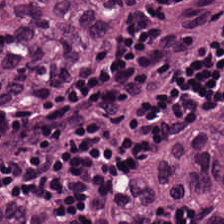H&E-stained tissue section. Showing colorectal adenocarcinoma.
